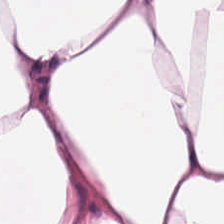FFPE · 0.5 µm/px · hematoxylin and eosin. Q: What tissue type is shown here?
A: The field shows adipocytes.
